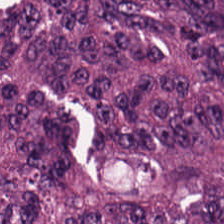H&E · 224×224 px tile.
Tissue class — adenocarcinoma.
